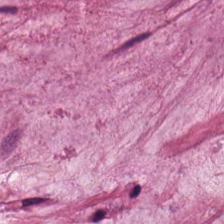FFPE tissue section. 0.5 microns per pixel. H&E stain — Finding → extracellular mucin.
